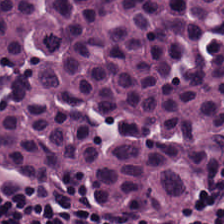H&E-stained tissue section. Finding → lymphocytic infiltrate.
